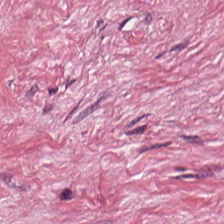Hematoxylin and eosin; 224×224 px tile — Q: What tissue type is shown here?
A: This is tumor stroma.
